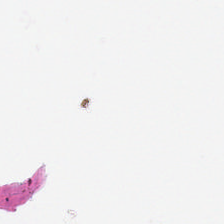H&E-stained tissue section — Histology — background (no tissue).
